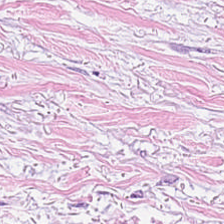20× equivalent magnification; H&E.
Predominantly desmoplastic stroma.
